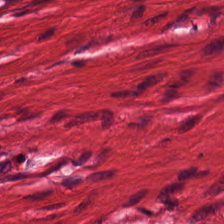FFPE tissue section; 20× equivalent magnification; H&E. The tissue here is smooth muscle.
